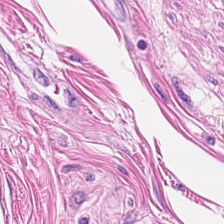Hematoxylin-and-eosin stained section.
The predominant tissue is muscularis.
